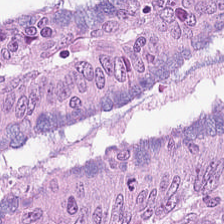Impression — malignant epithelium.
